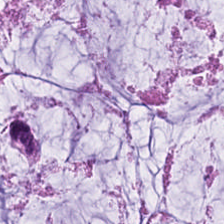Stain: H&E.
Tissue: mucin.
